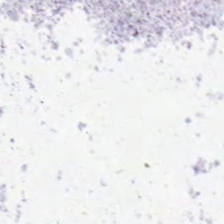20× equivalent magnification. FFPE tissue section. Hematoxylin and eosin. The field content is empty background.
